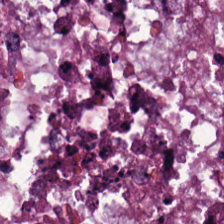Hematoxylin and eosin.
{"tissue_type": "tumor epithelium"}
